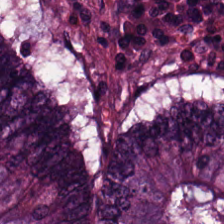Hematoxylin-and-eosin stained section · brightfield microscopy.
The tissue class is colorectal adenocarcinoma epithelium.
